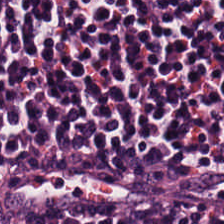H&E — This patch shows lymphocyte aggregate.
